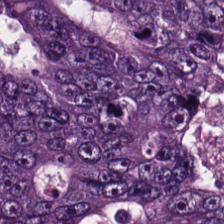H&E-stained tissue section. Histology → adenocarcinoma.
